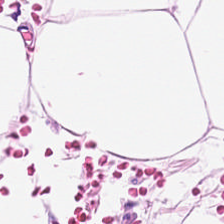H&E stain — Q: What does this patch show?
A: This is adipocytes.
